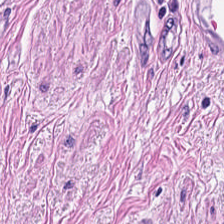H&E-stained tissue section — This field is smooth-muscle tissue.
